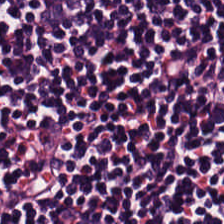H&E-stained section; the field shows lymphocytes.
